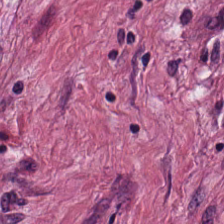Hematoxylin-and-eosin stained section.
Q: Identify the tissue.
A: This is cancer-associated stroma.
